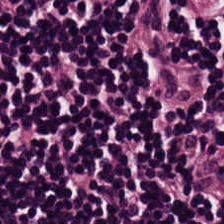Formalin-fixed paraffin-embedded section · hematoxylin and eosin. The predominant tissue is lymphoid infiltrate.
